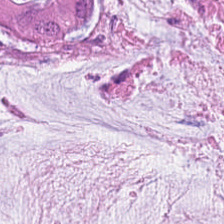H&E-stained tissue section.
Tissue type — mucus.
